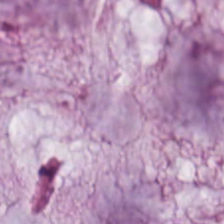WSI patch. H&E stain — {"tissue_type": "mucus"}
